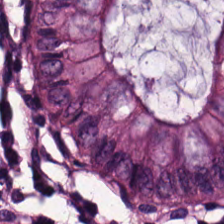Whole-slide-image patch · 0.5 microns per pixel · hematoxylin and eosin. The classification is normal colonic mucosa.
